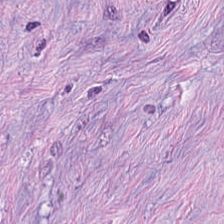H&E stain — Tissue class — tumor-associated stroma.
